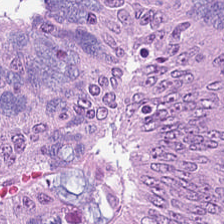Histology → tumor epithelium.
